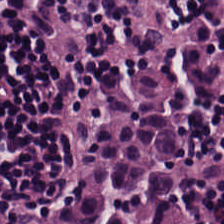Tissue class: lymphocytes.
